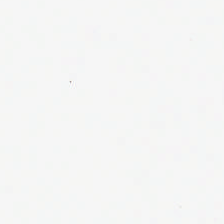Classification = background (no tissue).
